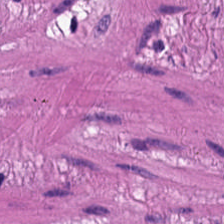Stain: H&E-stained tissue section.
Tissue type: muscularis.
